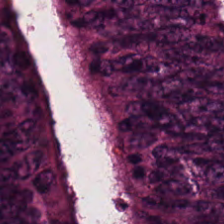Hematoxylin and eosin. Predominant tissue = tumor epithelium.
